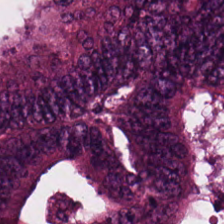Hematoxylin-and-eosin stained section. 20× equivalent magnification — This field is colorectal adenocarcinoma.
